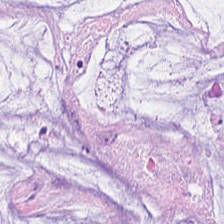Classification: mucin.
